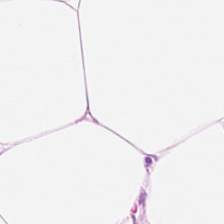Hematoxylin and eosin — Predominantly adipose.
